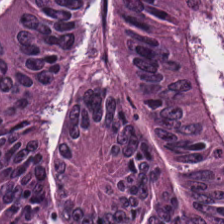This patch shows colorectal adenocarcinoma epithelium.
